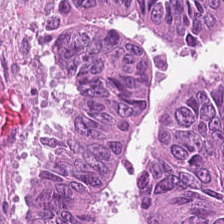Hematoxylin-and-eosin stained section. WSI patch — Showing colorectal adenocarcinoma.
